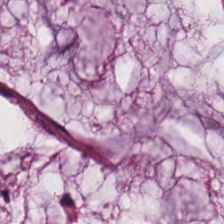Finding — mucin.
